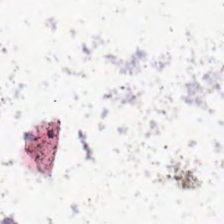Hematoxylin and eosin. FFPE tissue section.
No tissue present; background only.
